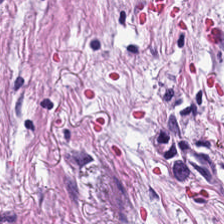Stain: hematoxylin and eosin.
Tissue: tumor-associated stroma.
